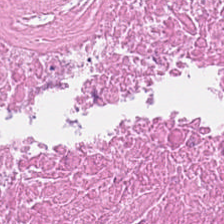H&E. Tissue type — cellular debris.
